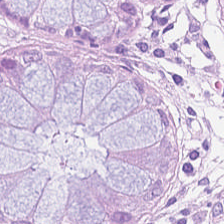FFPE tissue section; H&E; 224×224 px tile — The predominant tissue is non-neoplastic colon mucosa.
